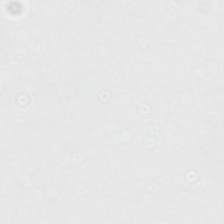Empty field — no tissue.
